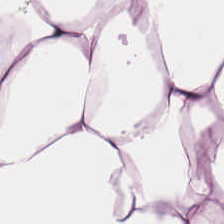H&E stain. Formalin-fixed paraffin-embedded section. 0.5 µm/px — Predominantly adipose tissue.
